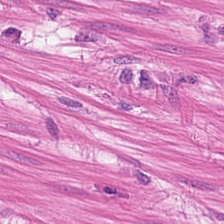H&E stain · 224×224 pixel tile.
This field is smooth muscle.
